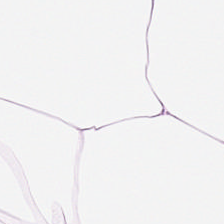Stain: hematoxylin and eosin.
Preparation: FFPE.
Classification: adipocytes.
